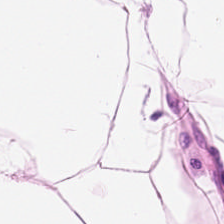Adipose.
